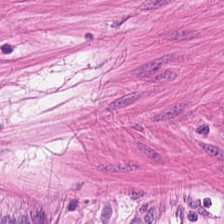FFPE tissue section; brightfield microscopy; H&E-stained tissue section — The predominant tissue is muscularis.
